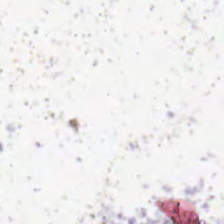Hematoxylin-and-eosin stained section; whole-slide-image patch; 20× equivalent magnification.
This patch shows background.
